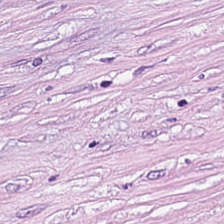Q: What is the predominant tissue type?
A: It is desmoplastic stroma.
